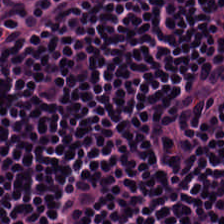Hematoxylin and eosin — Tissue class: lymphoid infiltrate.
